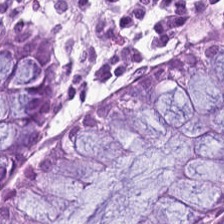20× equivalent magnification. 224×224 px patch. Hematoxylin and eosin — Predominantly benign colonic mucosa.
